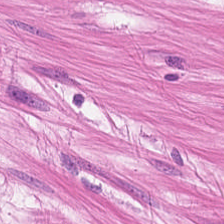Hematoxylin-and-eosin stained section. 0.5 µm/px — Histology — muscularis.
